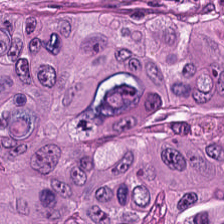H&E stain.
Predominantly adenocarcinoma.
